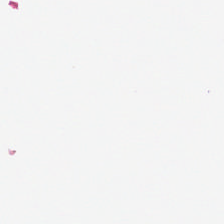Stain: H&E-stained tissue section.
Field content: empty background.
